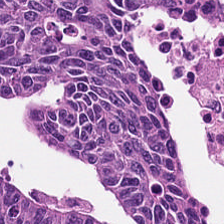0.5 µm/px. Formalin-fixed paraffin-embedded section. H&E.
Impression → tumor epithelium.
